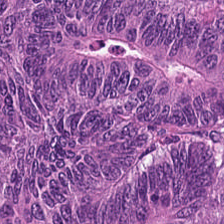Hematoxylin and eosin — Showing tumor epithelium.
